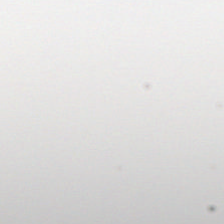Content = no tissue.
